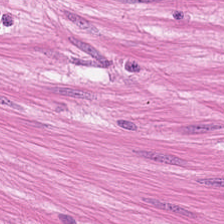H&E. Brightfield microscopy. Q: Classify this patch.
A: Muscularis.
